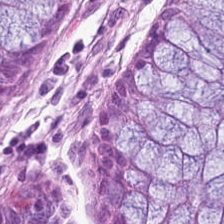H&E-stained tissue section.
Showing benign colonic mucosa.
